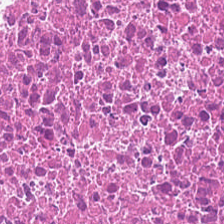Stain: H&E.
Classification: debris.
